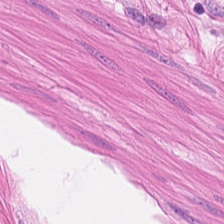Hematoxylin and eosin. Brightfield microscopy. 0.5 µm/px.
The tissue is muscularis.
